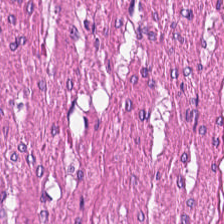20× equivalent magnification · H&E · 224×224 px tile. Tissue class: smooth muscle.
